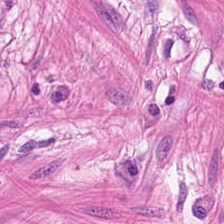Stain: hematoxylin and eosin.
Tile size: 224×224 px tile.
Acquisition: brightfield microscopy.
Tissue type: muscularis.
